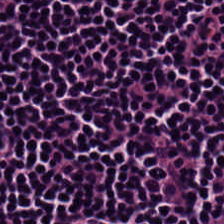Stain: hematoxylin-and-eosin stained section.
Classification: lymphocyte aggregate.
